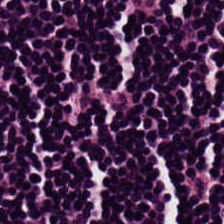Tissue class: lymphocytes.
